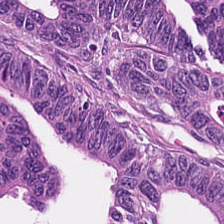0.5 µm/px; formalin-fixed paraffin-embedded section; H&E stain.
{"tissue_type": "colorectal adenocarcinoma"}
